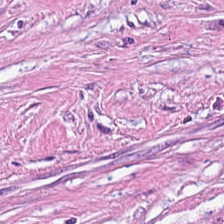Hematoxylin-and-eosin stained section · FFPE tissue section.
Tissue type = desmoplastic stroma.
